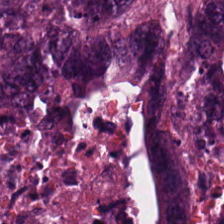224×224 px tile · hematoxylin and eosin · 20× equivalent magnification — The classification is tumor epithelium.
